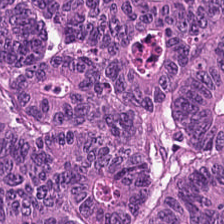{"tissue_type": "colorectal adenocarcinoma epithelium"}
